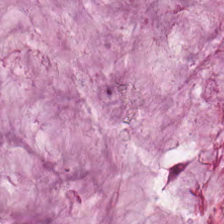Classification = extracellular mucin.
